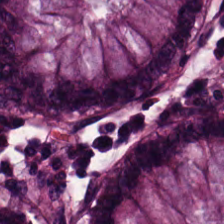Hematoxylin and eosin. Q: What is the predominant tissue type?
A: It is normal colon mucosa.
